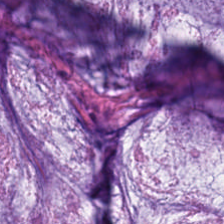Stain: hematoxylin-and-eosin stained section.
Preparation: FFPE.
Resolution: 0.5 µm per pixel.
Tissue type: mucus.
